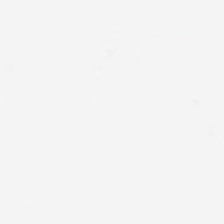This patch shows no tissue.
